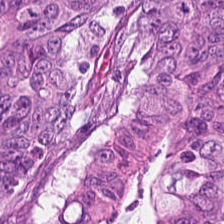H&E. Malignant epithelium.
